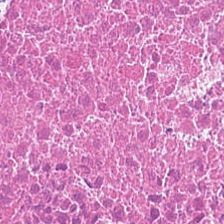H&E-stained tissue section. Tissue class: necrotic debris.
